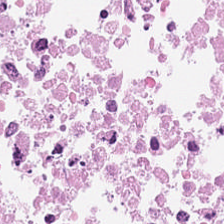The predominant tissue is necrotic debris.
